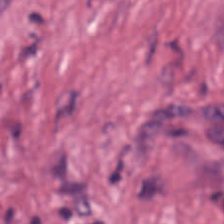Q: What is the predominant tissue type?
A: The field shows cancer-associated stroma.
